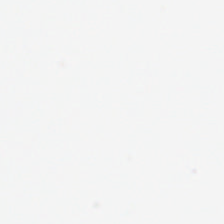Stain: hematoxylin and eosin.
Preparation: formalin-fixed paraffin-embedded section.
Content: background (no tissue).
